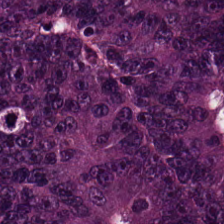Classification — tumor epithelium.
